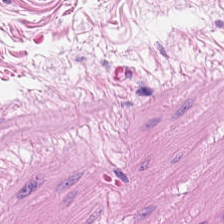Formalin-fixed paraffin-embedded section; hematoxylin-and-eosin stained section.
Tissue = smooth-muscle tissue.
